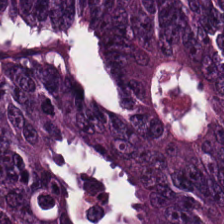H&E-stained tissue section.
The tissue type is tumor epithelium.
